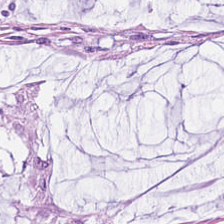H&E-stained tissue section. 0.5 µm/px.
The tissue class is mucus.
